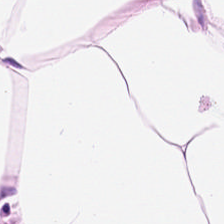H&E — Tissue class — adipose tissue.
